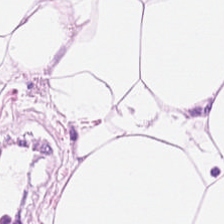H&E-stained tissue section. FFPE — Tissue class — adipocytes.
